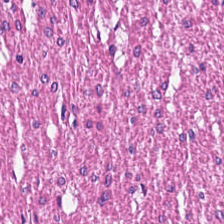Stain: H&E stain.
Classification: smooth-muscle tissue.
